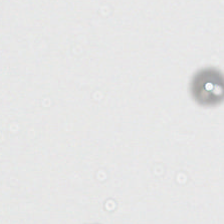0.5 µm/px; hematoxylin-and-eosin stained section. This field is background (no tissue).
